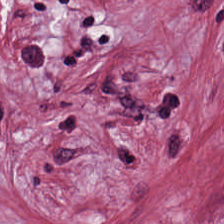Hematoxylin and eosin; 0.5 µm/px; brightfield.
Impression → desmoplastic stroma.
